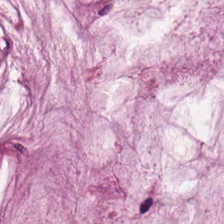H&E — Showing mucin.
